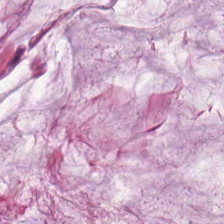H&E-stained tissue section. Classification — mucus.
